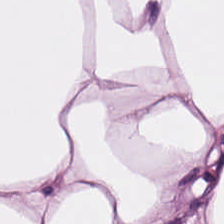Hematoxylin-and-eosin stained section; whole-slide-image patch — Tissue = adipose.
